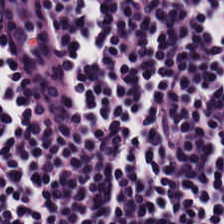Finding → lymphocyte aggregate.
